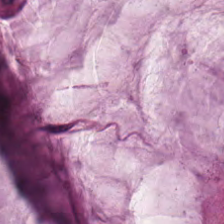Q: What tissue is shown?
A: It is extracellular mucin.
